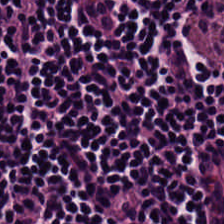H&E; 20× equivalent magnification — Predominant tissue — lymphoid infiltrate.
